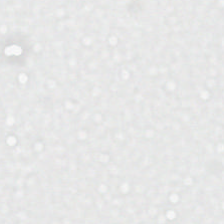Stain: hematoxylin-and-eosin stained section.
Preparation: FFPE tissue section.
Field content: no tissue.
